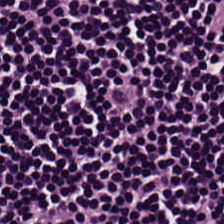Stain: hematoxylin and eosin.
Preparation: formalin-fixed paraffin-embedded section.
Tissue type: lymphocytes.
